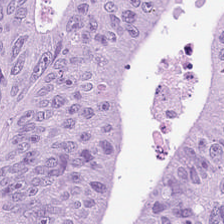H&E-stained tissue section. Q: What type of tissue is this?
A: It is colorectal adenocarcinoma.
